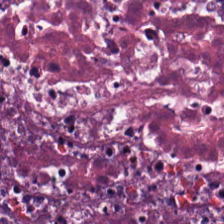Brightfield · H&E stain · 20× equivalent magnification. This field is necrotic debris.
